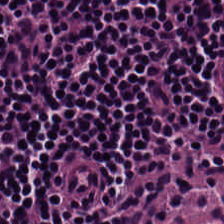Finding → lymphocyte aggregate.
